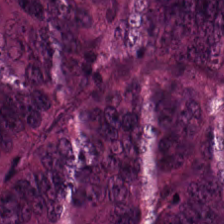H&E stain — This patch shows colorectal adenocarcinoma epithelium.
